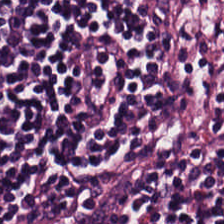Stain: H&E-stained tissue section.
Predominant tissue: lymphoid infiltrate.
